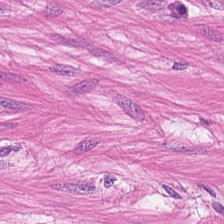0.5 µm/px; hematoxylin and eosin — Tissue class — smooth muscle.
